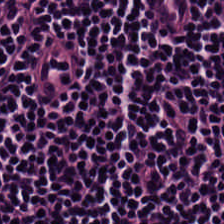H&E stain; brightfield — Classification = lymphocytic infiltrate.
